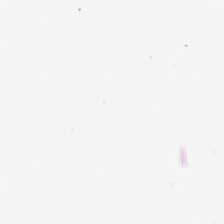H&E-stained tissue section — This patch shows background.
